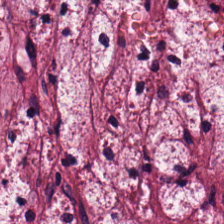224×224 px patch; formalin-fixed paraffin-embedded section; H&E-stained tissue section.
Tissue class — desmoplastic stroma.
